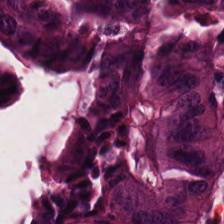Brightfield microscopy; H&E stain.
This field is colorectal adenocarcinoma.
